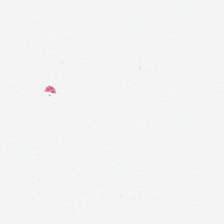FFPE; hematoxylin-and-eosin stained section — This patch shows background.
